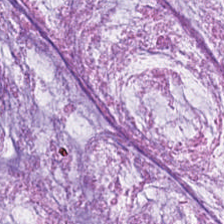0.5 µm per pixel; whole-slide-image patch; H&E.
Extracellular mucin.
